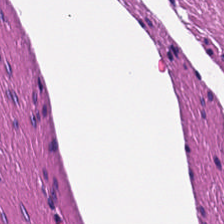This patch shows smooth-muscle tissue.
